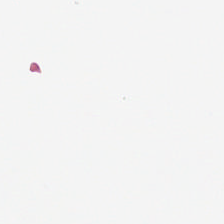Field content: background (no tissue).
